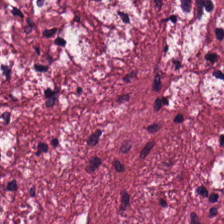H&E-stained tissue section showing tumor-associated stroma.
